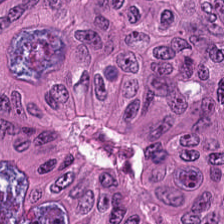Stain: H&E-stained tissue section.
Tissue type: malignant epithelium.
